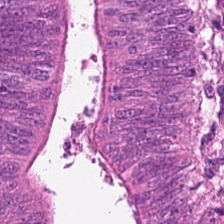The predominant tissue is colorectal adenocarcinoma.
